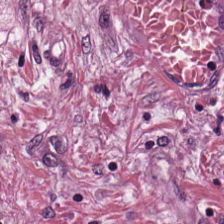Stain: H&E-stained tissue section.
Tissue: tumor stroma.
